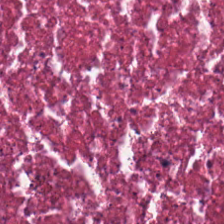The predominant tissue is debris.
